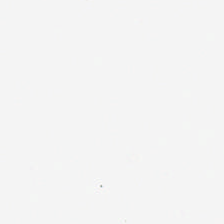H&E stain. 224×224 px patch — Background — no tissue in this field.
